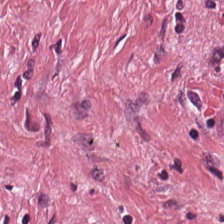224×224 px patch · H&E stain.
Q: What is shown here?
A: The field shows cancer-associated stroma.
